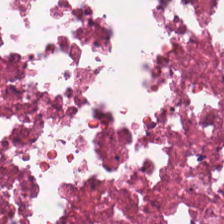H&E-stained tissue section. Histology — cellular debris.
